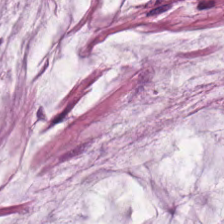Predominantly mucin.
